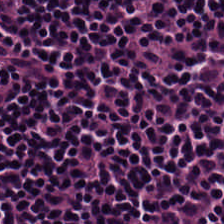Stain: H&E stain.
Tile size: 224×224 px tile.
Tissue: lymphocyte aggregate.
